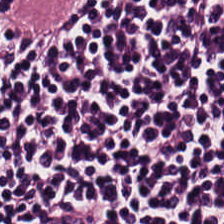H&E.
Histology — lymphoid infiltrate.
